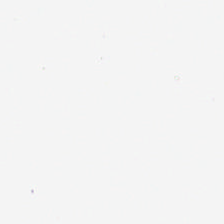Stain: H&E stain.
Tile size: 224×224 pixel tile.
Resolution: 0.5 microns per pixel.
Content: empty background.
